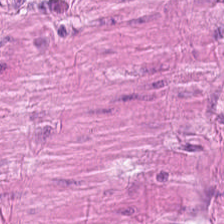Stain: hematoxylin-and-eosin stained section.
Predominant tissue: muscularis.
